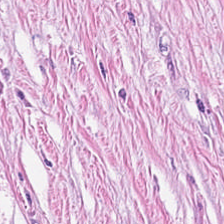Hematoxylin-and-eosin section: desmoplastic stroma.
